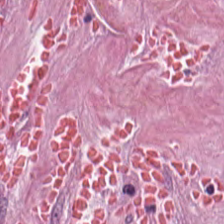H&E.
Q: What type of tissue is this?
A: It is tumor-associated stroma.
